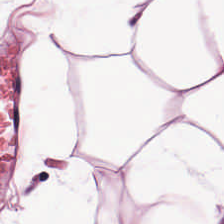Q: Classify this patch.
A: Adipocytes.
